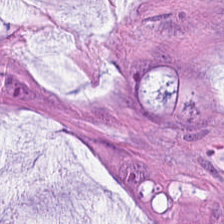Tissue: mucin.
